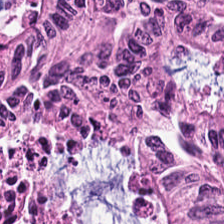0.5 µm per pixel. Brightfield. Hematoxylin and eosin. The tissue here is malignant epithelium.
